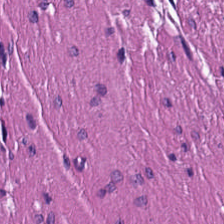H&E stain. The predominant tissue is smooth muscle.
